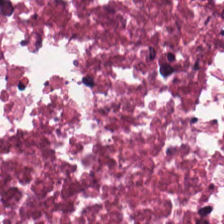FFPE tissue section. Hematoxylin and eosin.
Q: Classify this patch.
A: The field shows cellular debris.
